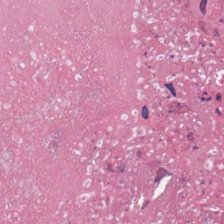224×224 pixel tile · 0.5 microns per pixel · hematoxylin-and-eosin stained section — Q: What is shown in this field?
A: The field shows debris.
